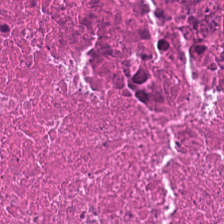H&E. Finding → cellular debris.
